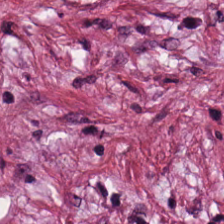H&E — This field is tumor stroma.
